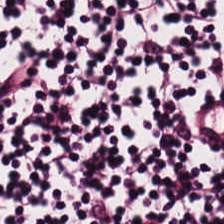224×224 px tile. Hematoxylin-and-eosin stained section. Tissue = lymphocytic infiltrate.
